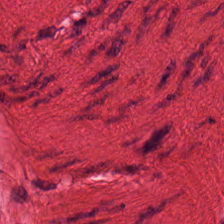Brightfield · H&E stain. Finding — muscularis.
